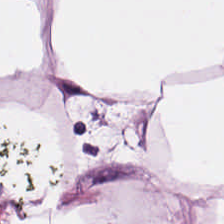H&E · 224×224 pixel tile — {"tissue_type": "adipocytes"}
